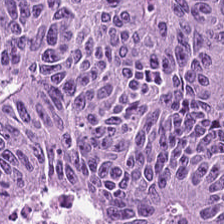H&E stain. 224×224 pixel tile. 0.5 µm/px. This field is tumor epithelium.
